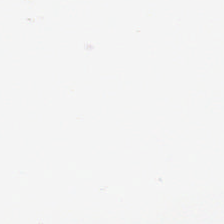H&E. Background — no tissue in this field.
